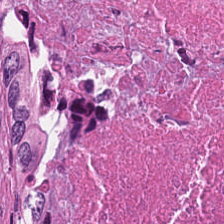Hematoxylin-and-eosin stained section. 224×224 px patch. Finding — cellular debris.
